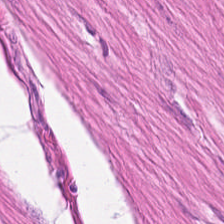FFPE. H&E. Q: What type of tissue is this?
A: This is smooth-muscle tissue.
